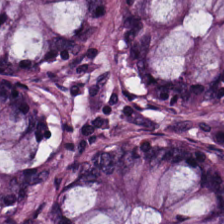Histology → normal colon mucosa.
